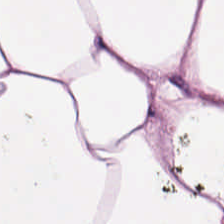Classification: fat tissue.
